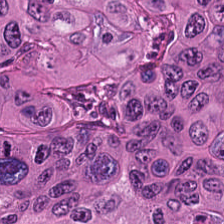H&E. Q: What tissue type is shown here?
A: Tumor epithelium.
